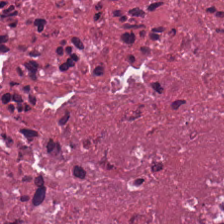H&E-stained tissue section showing cellular debris.
